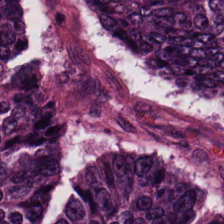Tissue type — malignant epithelium.
